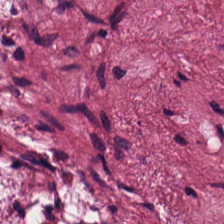224×224 px tile; hematoxylin-and-eosin stained section.
This patch shows tumor-associated stroma.
